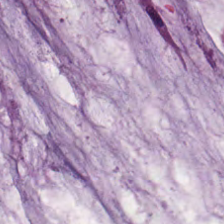Stain: H&E stain.
Tissue class: mucus.
